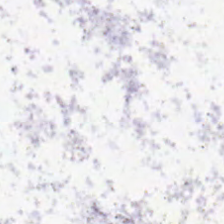224×224 pixel tile. Hematoxylin and eosin. 0.5 microns per pixel — Field content — background (no tissue).
